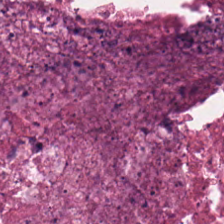H&E-stained tissue section · WSI patch. This field is debris.
